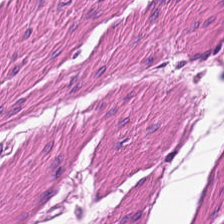Classification: smooth-muscle tissue.
